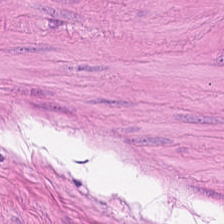Impression — smooth muscle.
